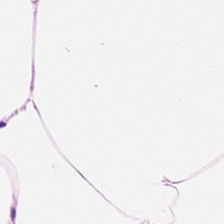Hematoxylin-and-eosin stained section. 224×224 pixel tile. Formalin-fixed paraffin-embedded section. This patch shows adipose tissue.
